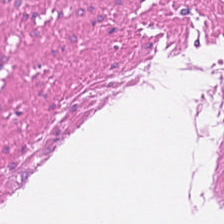Stain: hematoxylin and eosin.
Tile size: 224×224 pixel tile.
Tissue class: smooth-muscle tissue.
